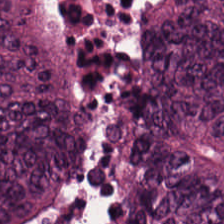Predominantly colorectal adenocarcinoma.
